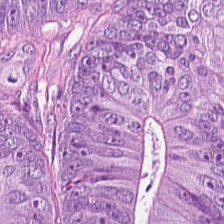224×224 px tile · H&E-stained tissue section. Q: What type of tissue is this?
A: This is tumor epithelium.
